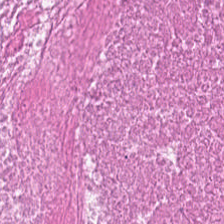FFPE; hematoxylin-and-eosin stained section; brightfield.
Q: What tissue is shown?
A: Debris.
